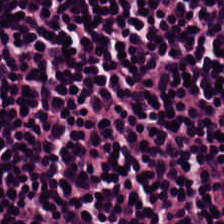Hematoxylin and eosin.
Finding — lymphoid infiltrate.
